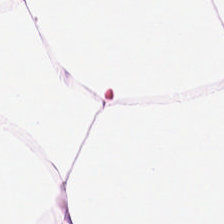Showing adipocytes.
